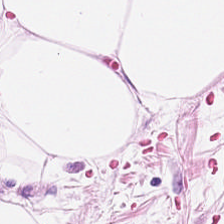Tissue type = adipose tissue.
